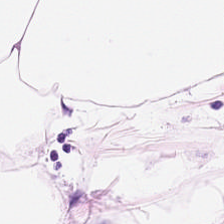Hematoxylin-and-eosin stained section.
Q: What tissue type is shown here?
A: This is adipocytes.
